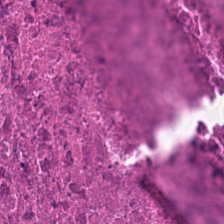H&E stain.
This field is cellular debris.
